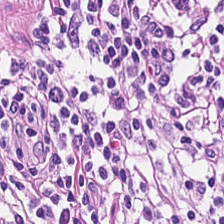Hematoxylin-and-eosin stained section; 224×224 px patch — The tissue here is lymphocyte aggregate.
